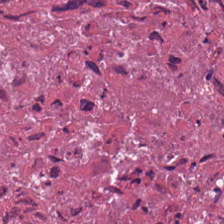H&E stain.
Q: What tissue type is shown here?
A: This is cellular debris.
